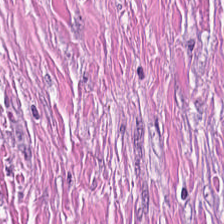Q: What is shown here?
A: This is tumor-associated stroma.
